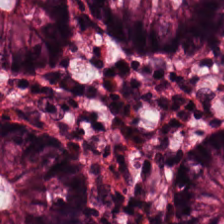Tissue type — normal colonic mucosa.
